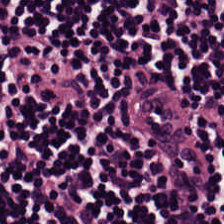H&E-stained tissue section — Predominantly lymphocyte aggregate.
